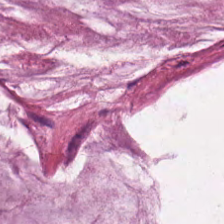0.5 µm/px. Hematoxylin and eosin. {"tissue_type": "mucin"}
